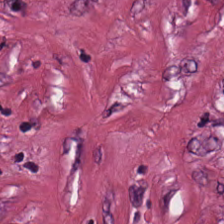Hematoxylin and eosin.
{"tissue_type": "desmoplastic stroma"}
